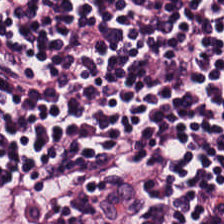Q: Identify the tissue.
A: Lymphoid infiltrate.
